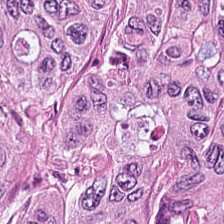Predominant tissue = malignant epithelium.
